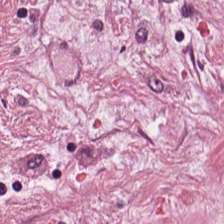Hematoxylin-and-eosin stained section.
The tissue here is cancer-associated stroma.
